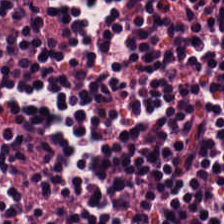Hematoxylin-and-eosin stained section · 224×224 pixel tile.
Impression → lymphoid infiltrate.
